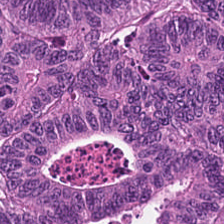Hematoxylin-and-eosin stained section; 224×224 px tile.
{"tissue_type": "colorectal adenocarcinoma epithelium"}
